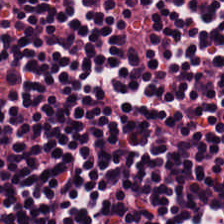H&E stain. Tissue type: lymphoid infiltrate.
